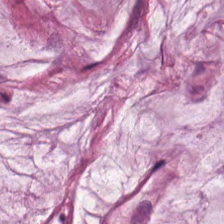20× equivalent magnification · hematoxylin and eosin · FFPE.
Classification — mucus.
